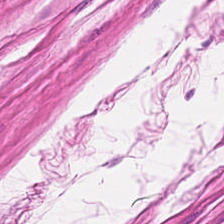Smooth-muscle tissue.
